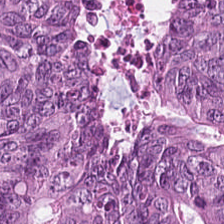H&E — Tissue type — malignant epithelium.
